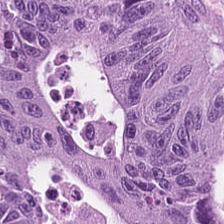H&E-stained section; the field shows colorectal adenocarcinoma epithelium.
